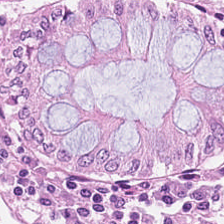Hematoxylin and eosin. Finding → normal colonic mucosa.
